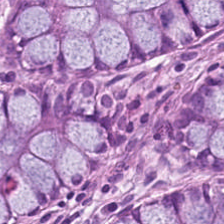Tissue: non-neoplastic colon mucosa.
